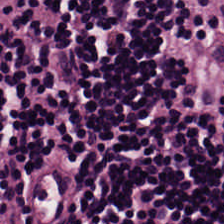Tissue class: lymphocytic infiltrate.
